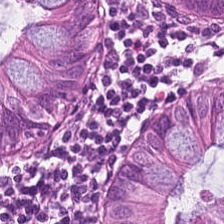224×224 px tile. H&E-stained tissue section — The tissue here is normal colonic mucosa.
